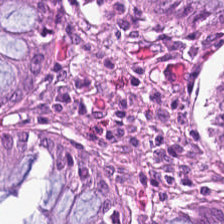Hematoxylin-and-eosin stained section — Histology — normal colon mucosa.
